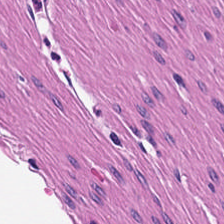H&E-stained tissue section — Q: What is shown in this field?
A: Muscularis.
